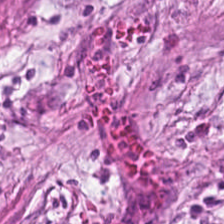H&E stain — Tissue type — tumor-associated stroma.
